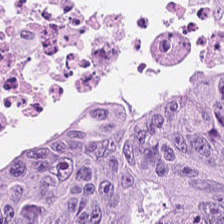Stain: hematoxylin-and-eosin stained section.
Tissue class: tumor epithelium.
